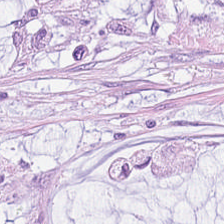224×224 px tile · FFPE · H&E. The predominant tissue is mucus.
